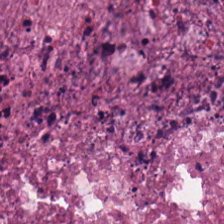Tissue — debris.
